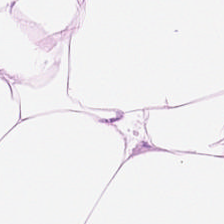Tissue type: adipocytes.
